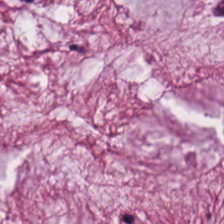H&E-stained tissue section. Mucus.
